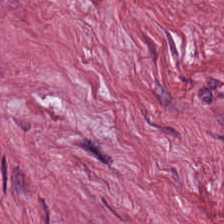Classification — cancer-associated stroma.
